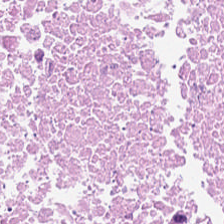Hematoxylin-and-eosin stained section — The tissue here is cellular debris.
